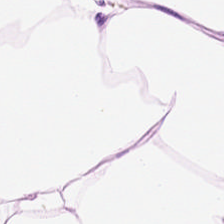224×224 px tile · hematoxylin-and-eosin stained section · 0.5 microns per pixel — Showing adipose tissue.
